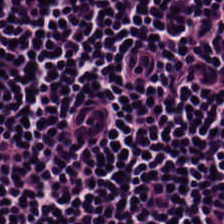H&E — Showing lymphocyte aggregate.
